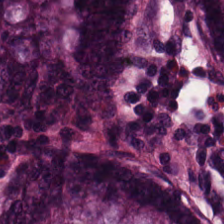Stain: H&E.
Tissue class: non-neoplastic colon mucosa.
